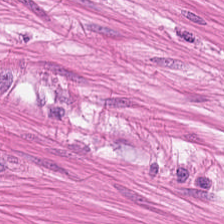Formalin-fixed paraffin-embedded section; H&E; 0.5 µm per pixel.
Predominant tissue: muscularis.
